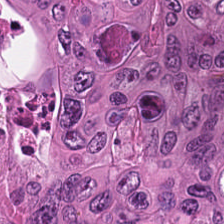H&E-stained tissue section; brightfield microscopy; 224×224 px tile. The predominant tissue is malignant epithelium.
